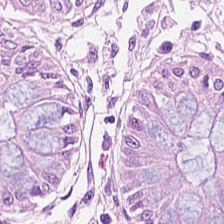Q: Identify the tissue.
A: It is normal colon mucosa.
